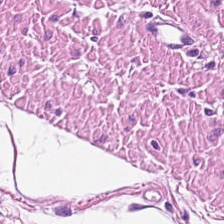Histology → smooth muscle.
